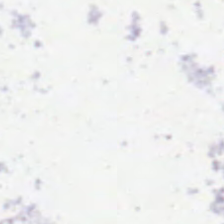Stain: hematoxylin-and-eosin stained section.
Classification: background.
